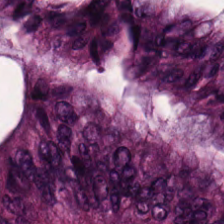H&E · 0.5 µm per pixel — Q: Identify the tissue.
A: It is malignant epithelium.
